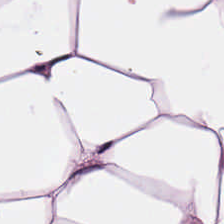H&E · brightfield microscopy · 224×224 px tile.
Predominantly adipose tissue.
